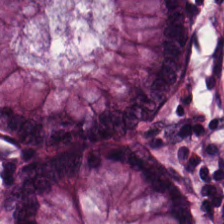224×224 px tile · H&E stain.
Tissue type: normal colonic mucosa.
